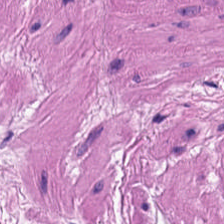H&E-stained tissue section · 224×224 px patch. Tissue class: smooth muscle.
